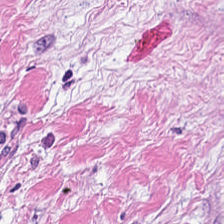Hematoxylin-and-eosin stained section. {"tissue_type": "cancer-associated stroma"}
